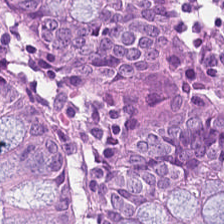Hematoxylin and eosin — Finding — normal colon mucosa.
